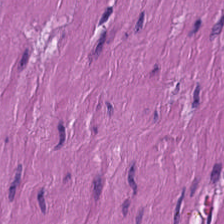Classification — smooth-muscle tissue.
